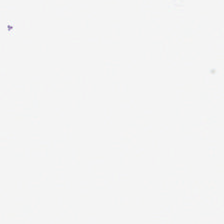{"content": "no tissue"}
